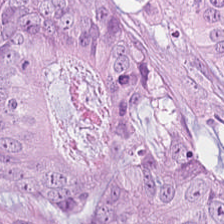Q: What is shown in this field?
A: This is tumor epithelium.
